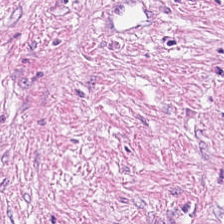Stain: H&E.
Classification: tumor stroma.
